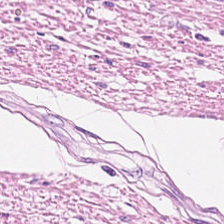Hematoxylin and eosin.
Impression → smooth-muscle tissue.
